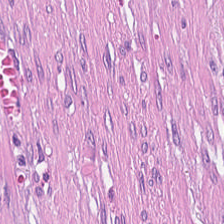Brightfield microscopy; H&E.
Classification: tumor stroma.
